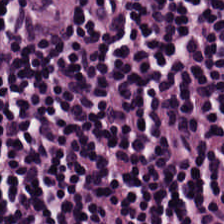Hematoxylin-and-eosin stained section. Q: What tissue type is shown here?
A: This is lymphocytic infiltrate.
